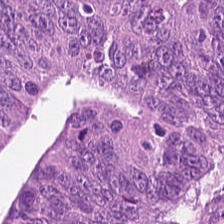0.5 µm/px · brightfield · H&E — Histology → colorectal adenocarcinoma epithelium.
